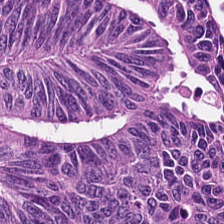Hematoxylin-and-eosin stained section. Whole-slide-image patch.
Predominantly tumor epithelium.
